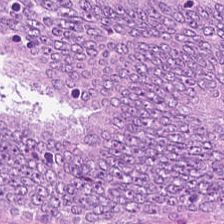FFPE tissue section. Whole-slide-image patch. H&E-stained tissue section — Colorectal adenocarcinoma epithelium.
